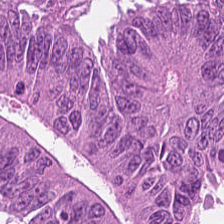H&E stain · 20× equivalent magnification. The tissue type is malignant epithelium.
